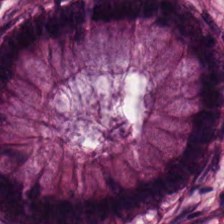224×224 px tile. H&E stain. Brightfield.
Finding — benign colonic mucosa.
